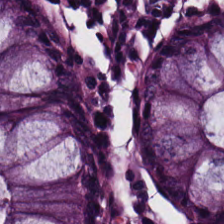Stain: H&E.
Tile size: 224×224 px patch.
Classification: normal colonic mucosa.
